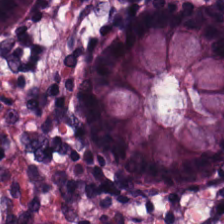H&E stain.
Predominantly normal colon mucosa.
